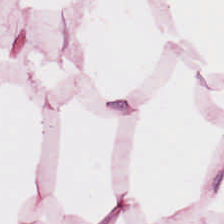Brightfield microscopy · hematoxylin and eosin. Impression → fat tissue.
